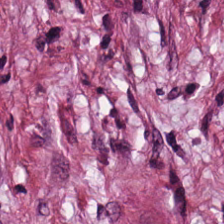H&E stain — Tissue type: desmoplastic stroma.
